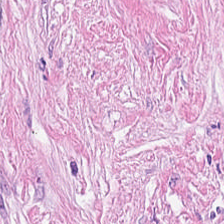Tissue class = cancer-associated stroma.
